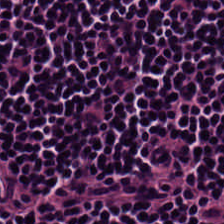224×224 px tile. H&E stain. Lymphocytic infiltrate.
